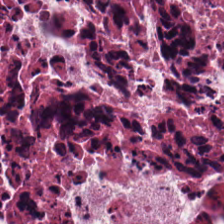Histology → necrotic debris.
